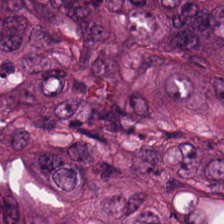H&E.
Q: What is shown here?
A: Adenocarcinoma.
